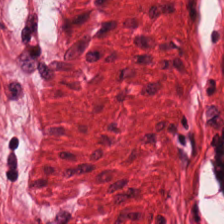H&E stain — Tissue class = muscularis.
